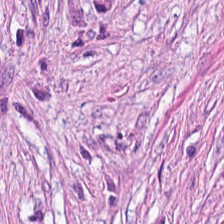Hematoxylin-and-eosin stained section — Q: What type of tissue is this?
A: This is tumor stroma.
